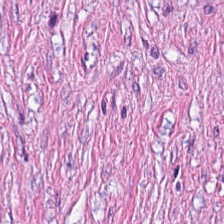Stain: H&E-stained tissue section.
Classification: tumor stroma.
